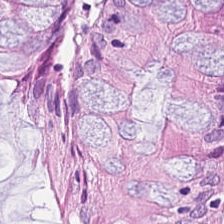224×224 px patch · brightfield · H&E-stained tissue section. Impression — benign colonic mucosa.
